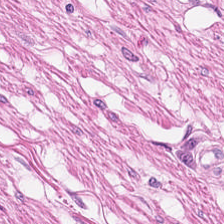Hematoxylin-and-eosin stained section. Showing smooth muscle.
